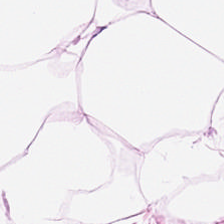{"tissue_type": "adipose tissue"}
